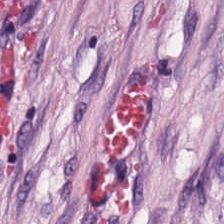224×224 px tile · FFPE tissue section · hematoxylin and eosin — Tissue type: tumor stroma.
